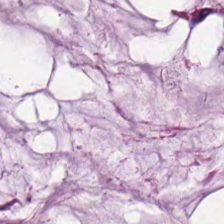H&E stain. Predominant tissue: mucus.
